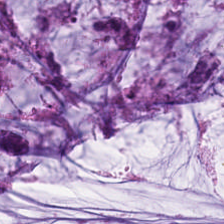Stain: H&E stain.
Preparation: FFPE tissue section.
Classification: mucin.
